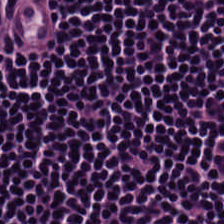Hematoxylin and eosin.
The predominant tissue is lymphoid infiltrate.
